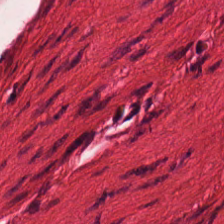H&E · 0.5 microns per pixel. Predominant tissue — smooth muscle.
